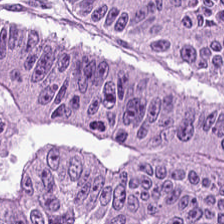H&E.
Q: What does this patch show?
A: It is colorectal adenocarcinoma.
